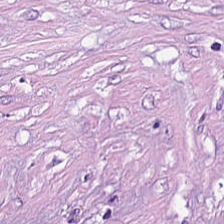H&E-stained tissue section. Predominant tissue = cancer-associated stroma.
